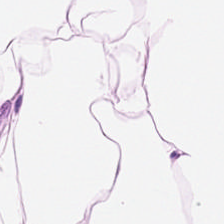FFPE tissue section · hematoxylin and eosin.
Fat tissue.
